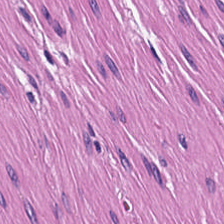0.5 µm/px. H&E-stained tissue section. FFPE.
Impression — smooth muscle.
